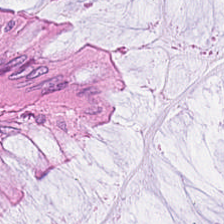Brightfield microscopy; H&E stain — This field is benign colonic mucosa.
